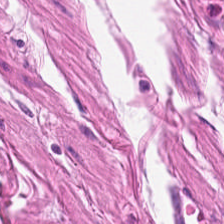H&E.
Predominant tissue: smooth-muscle tissue.
